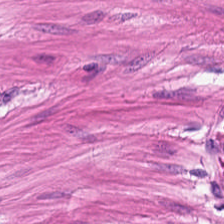H&E-stained tissue section · formalin-fixed paraffin-embedded section. Tissue: smooth-muscle tissue.
